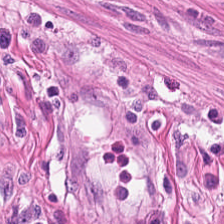224×224 pixel tile. WSI patch. Hematoxylin and eosin. The tissue is smooth-muscle tissue.
